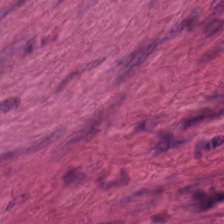Hematoxylin and eosin.
Q: Classify this patch.
A: This is muscularis.
